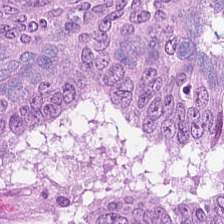Tissue = tumor epithelium.
